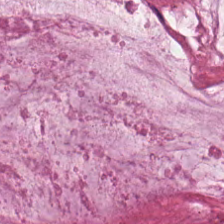H&E — The tissue is extracellular mucin.
